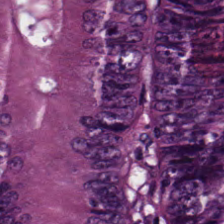Predominantly adenocarcinoma.
